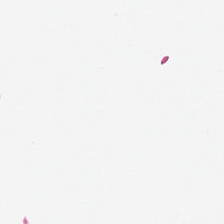Brightfield microscopy. H&E.
Impression → no tissue.
